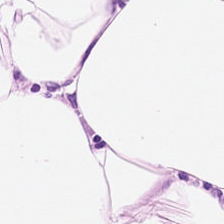Stain: hematoxylin and eosin.
Tissue class: fat tissue.
